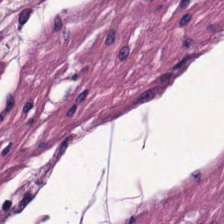{"tissue_type": "smooth-muscle tissue"}
